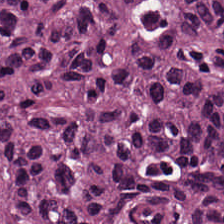Hematoxylin and eosin; FFPE — The predominant tissue is tumor epithelium.
